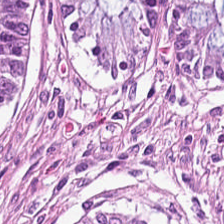Hematoxylin and eosin. Predominant tissue — non-neoplastic colon mucosa.
